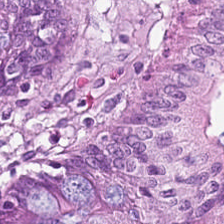Stain: hematoxylin and eosin.
Tissue class: benign colonic mucosa.
